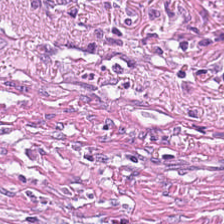H&E-stained tissue section · 224×224 pixel tile · whole-slide-image patch — This field is cancer-associated stroma.
